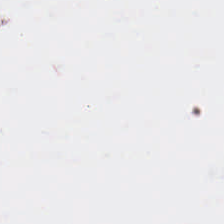Hematoxylin-and-eosin stained section. Brightfield microscopy. 224×224 px patch. Empty field — background.
